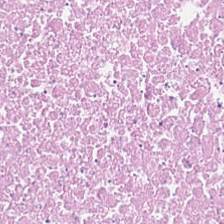H&E patch showing necrotic debris.
